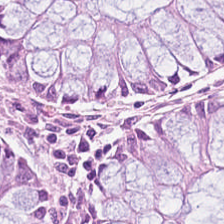H&E. The tissue here is normal colon mucosa.
